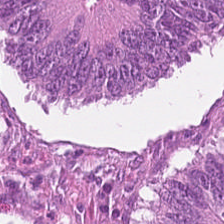H&E. Formalin-fixed paraffin-embedded section.
Finding → adenocarcinoma.
